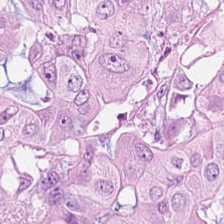H&E-stained tissue section; brightfield microscopy — Classification: malignant epithelium.
